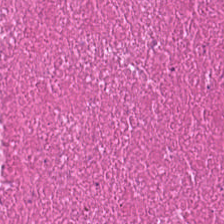224×224 px tile. Hematoxylin-and-eosin stained section. Predominantly cellular debris.
